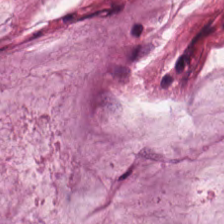Hematoxylin and eosin.
Tissue type = mucin.
